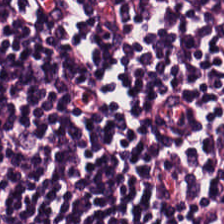Stain: H&E-stained tissue section.
Predominant tissue: lymphocytes.
